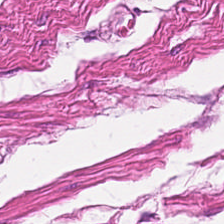Predominantly smooth-muscle tissue.
